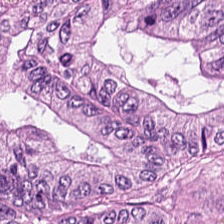Stain: H&E-stained tissue section.
Acquisition: WSI patch.
Tissue type: colorectal adenocarcinoma.
